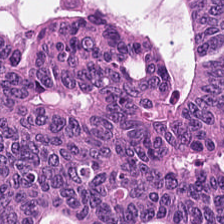Histology → colorectal adenocarcinoma epithelium.
